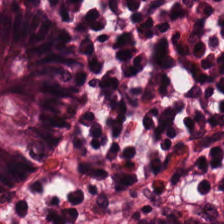Brightfield microscopy. H&E stain. FFPE tissue section.
This patch shows benign colonic mucosa.
